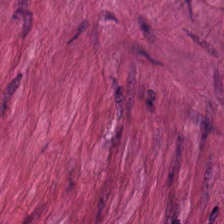FFPE; WSI patch; H&E-stained tissue section — Smooth-muscle tissue.
